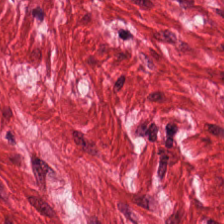H&E-stained tissue section. The tissue type is muscularis.
